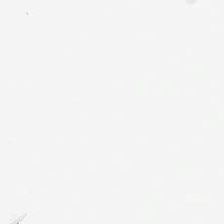224×224 px patch · hematoxylin-and-eosin stained section. Impression → background (no tissue).
